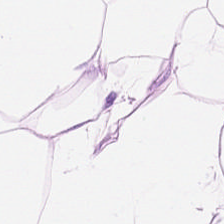Hematoxylin-and-eosin section: adipose tissue.
